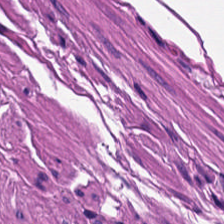Finding → smooth muscle.
